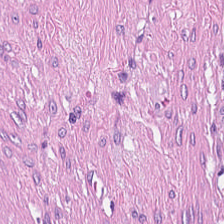20× equivalent magnification · H&E stain. The predominant tissue is tumor-associated stroma.
